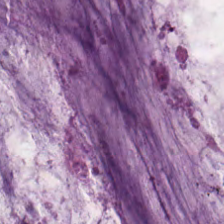H&E-stained tissue section showing mucin.
